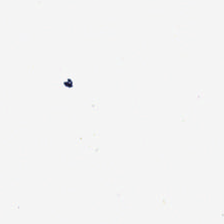Hematoxylin and eosin.
Q: What is shown in this field?
A: It is empty background.
